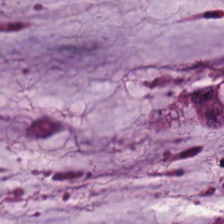H&E-stained tissue section. 224×224 px tile.
The predominant tissue is extracellular mucin.
